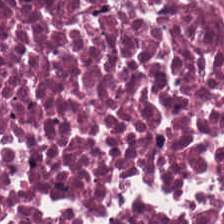Q: What does this patch show?
A: It is cellular debris.
